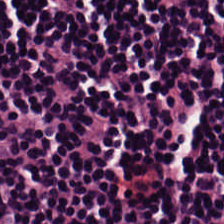H&E. Q: What is shown here?
A: Lymphocyte aggregate.
